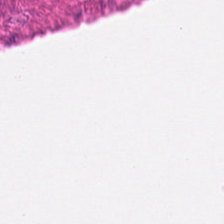FFPE tissue section; hematoxylin and eosin; brightfield microscopy. The tissue is smooth-muscle tissue.
